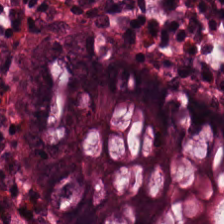224×224 px tile. H&E — The predominant tissue is benign colonic mucosa.
